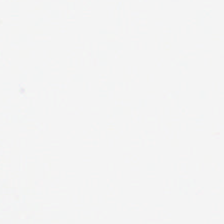224×224 pixel tile · H&E-stained tissue section · 0.5 µm per pixel — The classification is background.
